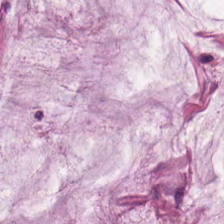H&E-stained tissue section. 224×224 px tile — Showing mucus.
